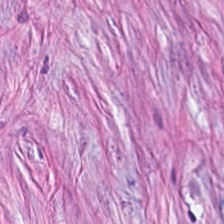Stain: H&E-stained tissue section.
Classification: tumor stroma.
